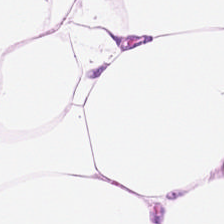20× equivalent magnification; hematoxylin and eosin. The predominant tissue is adipose.
